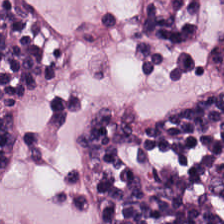Hematoxylin-and-eosin stained section. {"tissue_type": "lymphocytes"}
